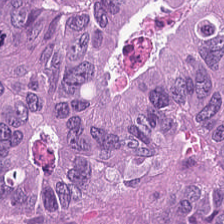Showing adenocarcinoma.
